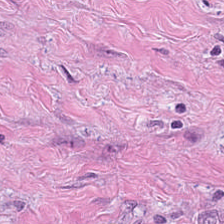Histology — tumor-associated stroma.
